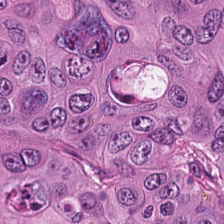FFPE tissue section · H&E stain.
Adenocarcinoma.
